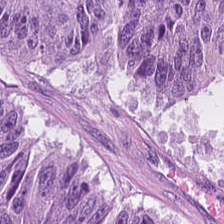0.5 µm per pixel. H&E-stained tissue section. Whole-slide-image patch — The tissue is tumor epithelium.
